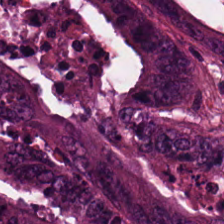Hematoxylin and eosin. The tissue here is colorectal adenocarcinoma epithelium.
